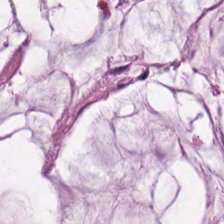H&E · FFPE tissue section. {"tissue_type": "mucin"}
